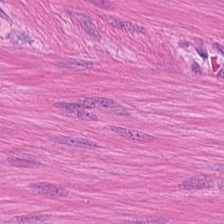Q: What type of tissue is this?
A: This is smooth muscle.
